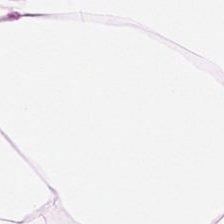The predominant tissue is adipose tissue.
